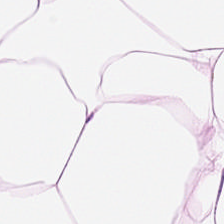H&E stain.
Predominantly fat tissue.
